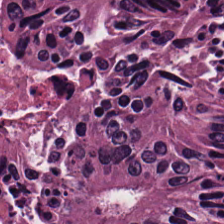H&E stain. Tissue = colorectal adenocarcinoma.
